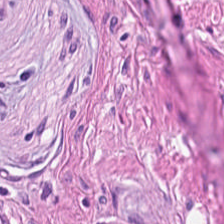H&E · brightfield · 20× equivalent magnification. Q: What tissue is shown?
A: Muscularis.
